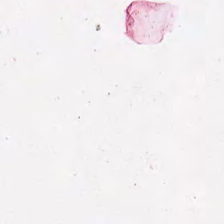FFPE · H&E stain. The predominant tissue is necrotic debris.
